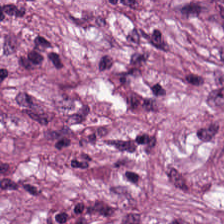Q: What is shown in this field?
A: It is tumor stroma.
